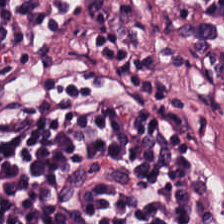H&E-stained tissue section. Whole-slide-image patch. 0.5 µm per pixel. Predominantly lymphocytes.
